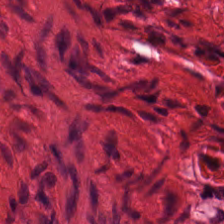Hematoxylin-and-eosin stained section. Impression — smooth muscle.
